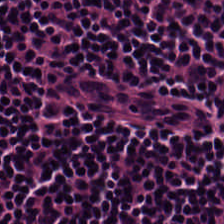Stain: hematoxylin and eosin.
Acquisition: brightfield.
Classification: lymphocytes.
